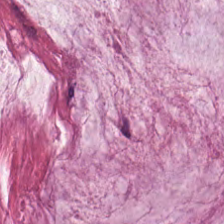Hematoxylin and eosin — Histology → extracellular mucin.
